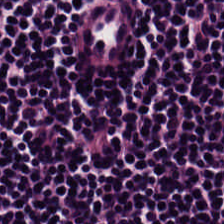H&E.
Classification: lymphocyte aggregate.
